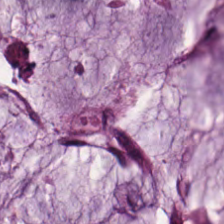H&E-stained tissue section.
This field is mucus.
